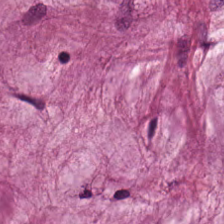Hematoxylin and eosin. Mucus.
